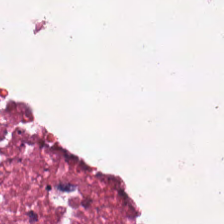Stain: hematoxylin-and-eosin stained section.
Tile size: 224×224 px patch.
Predominant tissue: cellular debris.
